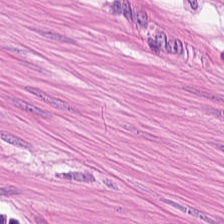H&E · formalin-fixed paraffin-embedded section · 224×224 px tile. Showing muscularis.
